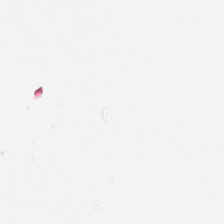0.5 µm per pixel; H&E stain; FFPE. Field content = background.
